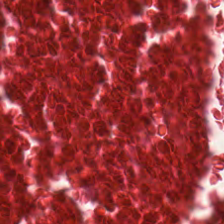Q: What is the predominant tissue type?
A: The field shows debris.
